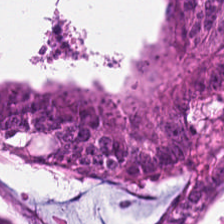224×224 px patch. Whole-slide-image patch. H&E.
This patch shows colorectal adenocarcinoma epithelium.
